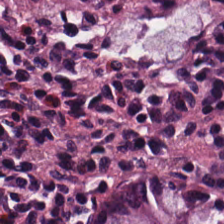H&E stain; FFPE. Classification — normal colon mucosa.
